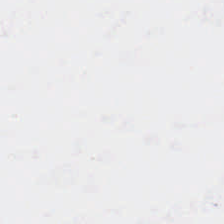FFPE; 224×224 px tile; H&E stain.
This patch shows empty background.
